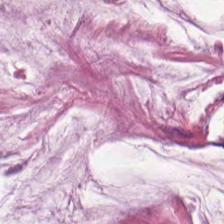Predominant tissue — mucus.
